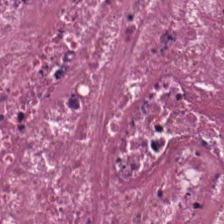Stain: H&E.
Predominant tissue: necrotic debris.
